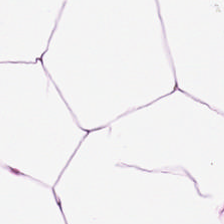Stain: H&E stain.
Preparation: formalin-fixed paraffin-embedded section.
Tissue type: fat tissue.
